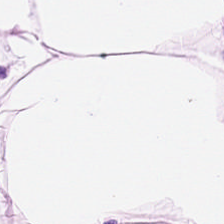Histology — fat tissue.
